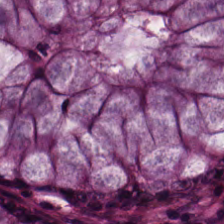H&E stain. WSI patch. 0.5 µm per pixel. This patch shows normal colonic mucosa.
